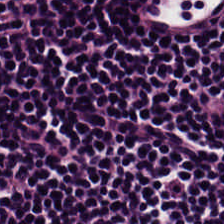H&E-stained tissue section. Classification = lymphocytes.
